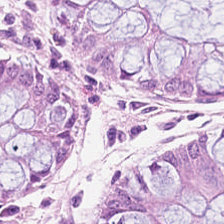Tissue type: normal colonic mucosa.
